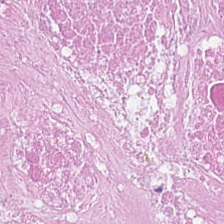Q: What tissue is shown?
A: The field shows debris.
